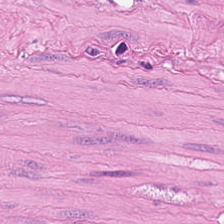H&E — {"tissue_type": "smooth-muscle tissue"}
